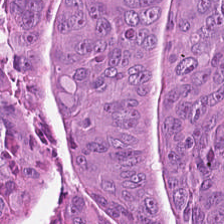H&E — Finding → adenocarcinoma.
